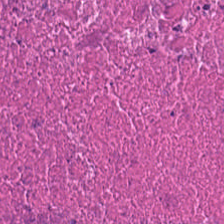Hematoxylin-and-eosin stained section. Q: What is the predominant tissue type?
A: This is cellular debris.
